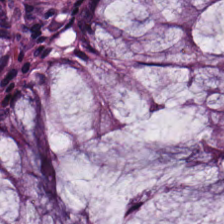Hematoxylin-and-eosin stained section. Tissue class — benign colonic mucosa.
